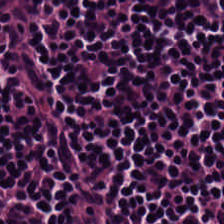H&E-stained tissue section. 20× equivalent magnification. Whole-slide-image patch — The predominant tissue is lymphocytes.
